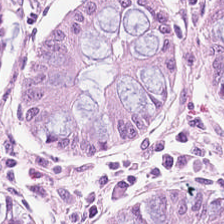H&E stain — The tissue class is benign colonic mucosa.
